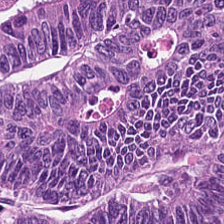Stain: H&E stain.
Tissue class: malignant epithelium.
